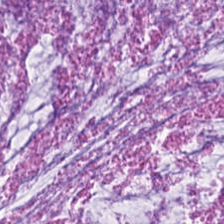Hematoxylin and eosin; formalin-fixed paraffin-embedded section — Tissue type — mucus.
